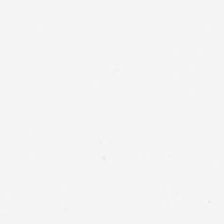Hematoxylin-and-eosin stained section. Q: What is shown in this field?
A: This is empty background.
